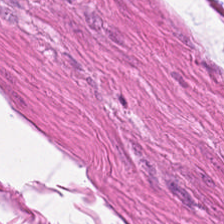0.5 microns per pixel; hematoxylin-and-eosin stained section — Q: What tissue type is shown here?
A: It is muscularis.
